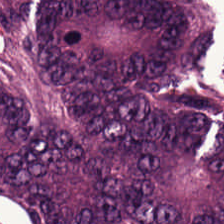Hematoxylin and eosin · FFPE tissue section.
Tissue class — tumor epithelium.
